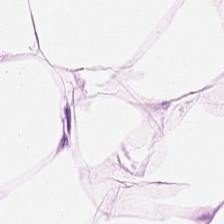FFPE · H&E stain. Predominantly adipose.
